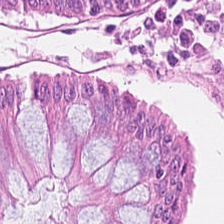Stain: H&E-stained tissue section.
Predominant tissue: normal colonic mucosa.
